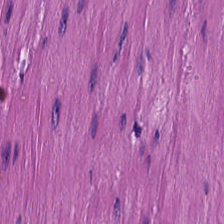Hematoxylin-and-eosin stained section; 224×224 pixel tile; 0.5 microns per pixel.
The tissue is muscularis.
